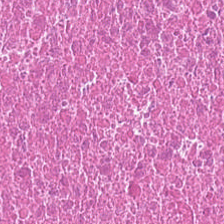H&E-stained tissue section showing debris.
